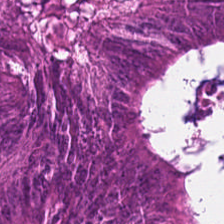Hematoxylin and eosin. FFPE tissue section.
Finding — adenocarcinoma.
